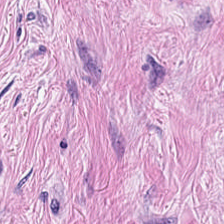Brightfield; H&E-stained tissue section. This patch shows desmoplastic stroma.
